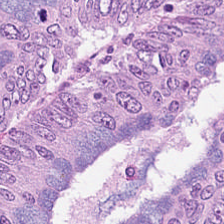H&E. Tissue class — adenocarcinoma.
